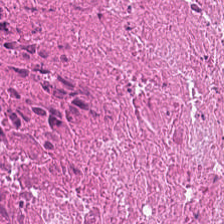H&E-stained tissue section.
This field is debris.
